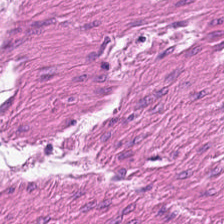Q: What tissue is shown?
A: Smooth-muscle tissue.
